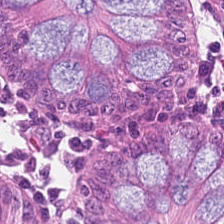H&E — {"tissue_type": "normal colon mucosa"}
